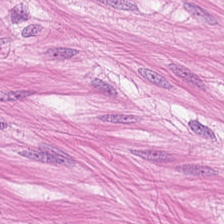H&E; 20× equivalent magnification. The predominant tissue is muscularis.
